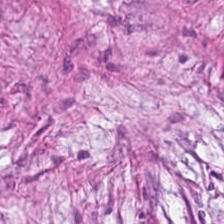Hematoxylin and eosin — This field is desmoplastic stroma.
